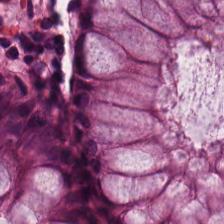Hematoxylin-and-eosin stained section; FFPE. Q: What type of tissue is this?
A: Non-neoplastic colon mucosa.
